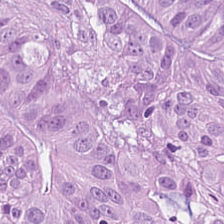This field is colorectal adenocarcinoma.
